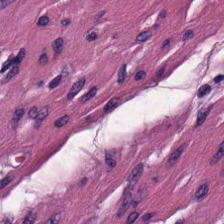H&E stain. 0.5 microns per pixel. Q: What is shown in this field?
A: This is smooth-muscle tissue.
